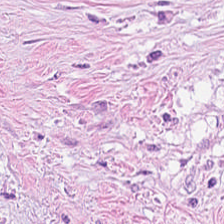Stain: hematoxylin and eosin.
Tissue type: desmoplastic stroma.
